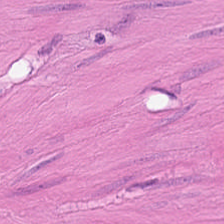224×224 px tile · hematoxylin and eosin — The predominant tissue is muscularis.
